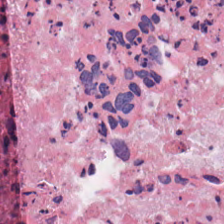H&E-stained tissue section — Predominant tissue — necrotic debris.
